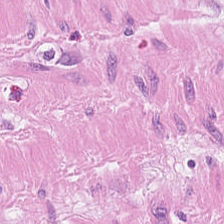Tissue type: smooth muscle.
